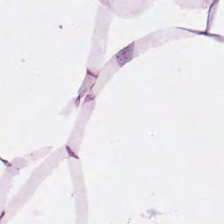H&E stain; formalin-fixed paraffin-embedded section — Q: What is shown in this field?
A: Fat tissue.
